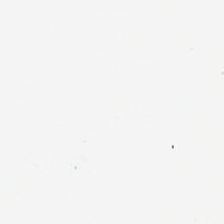No tissue present; background only.
